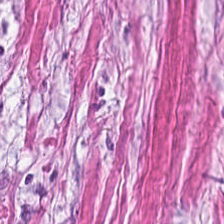H&E · FFPE tissue section.
Predominantly tumor-associated stroma.
